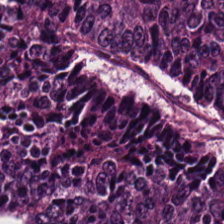0.5 microns per pixel. H&E stain — Predominantly colorectal adenocarcinoma.
